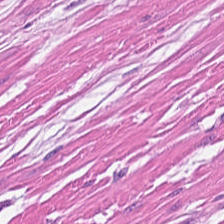H&E stain; 0.5 microns per pixel.
Q: What is shown here?
A: It is smooth muscle.
